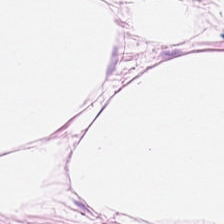H&E; 0.5 µm per pixel.
Tissue = fat tissue.
